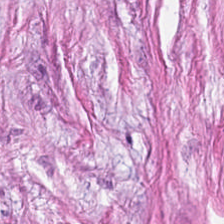Hematoxylin and eosin; brightfield.
The tissue here is desmoplastic stroma.
